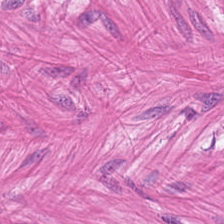Q: What is shown here?
A: It is smooth muscle.
